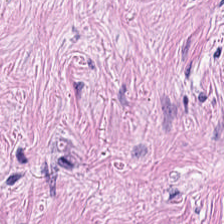Hematoxylin and eosin — Predominant tissue: cancer-associated stroma.
